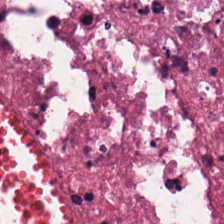H&E stain — Debris.
